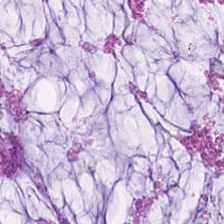224×224 px tile · H&E stain.
Tissue type — mucin.
